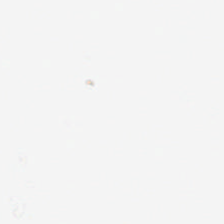Brightfield microscopy; H&E-stained tissue section.
{"content": "empty background"}
